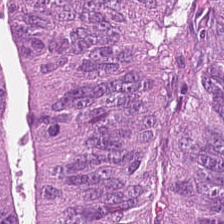Formalin-fixed paraffin-embedded section; H&E; whole-slide-image patch. Tissue = colorectal adenocarcinoma.
